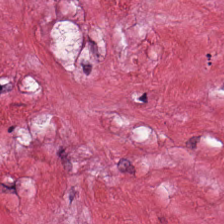The predominant tissue is cancer-associated stroma.
